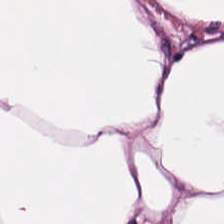Impression → adipose tissue.
